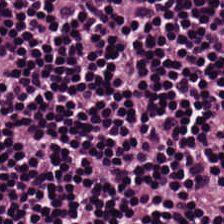Hematoxylin and eosin.
Q: What type of tissue is this?
A: It is lymphocyte aggregate.
